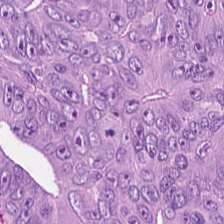Stain: H&E.
Classification: colorectal adenocarcinoma epithelium.
